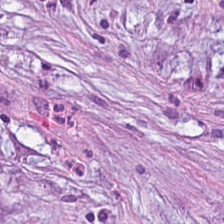Hematoxylin and eosin · 224×224 pixel tile — Desmoplastic stroma.
